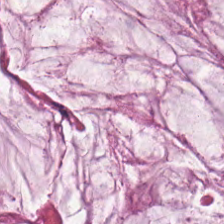FFPE tissue section; 224×224 pixel tile; hematoxylin and eosin — This field is mucin.
